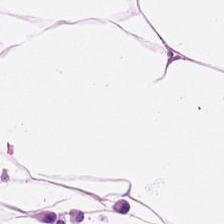Hematoxylin and eosin · 0.5 µm per pixel.
Adipose tissue.
